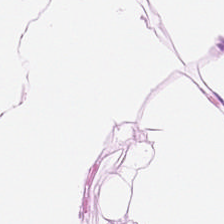Whole-slide-image patch; H&E-stained tissue section. Q: Classify this patch.
A: This is adipocytes.
